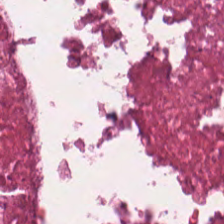Q: What is shown in this field?
A: The field shows debris.
